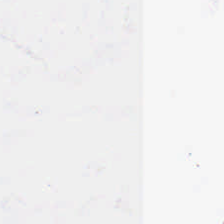No tissue present; background only.
